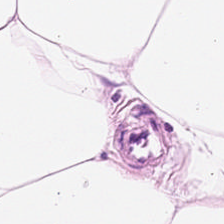Tissue = adipocytes.
